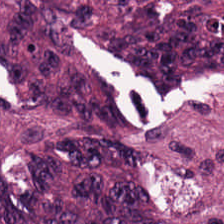Stain: H&E.
Tissue: adenocarcinoma.
